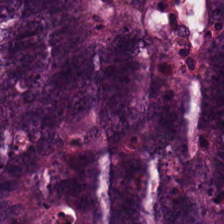H&E. FFPE. 0.5 microns per pixel. This patch shows malignant epithelium.
